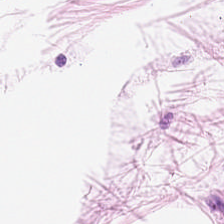H&E.
Q: What tissue is shown?
A: It is adipose tissue.
